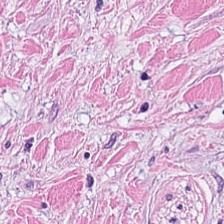H&E.
The predominant tissue is tumor stroma.
